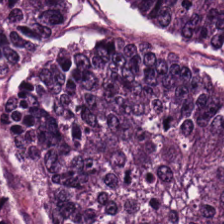This patch shows malignant epithelium.
